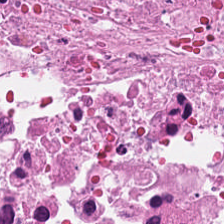H&E-stained tissue section.
Finding → debris.
